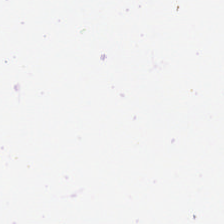Hematoxylin-and-eosin stained section. Q: Classify this patch.
A: This is empty background.
